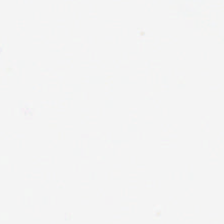H&E-stained tissue section — Field content: no tissue.
